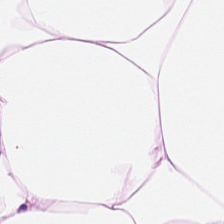Stain: H&E-stained tissue section.
Tissue class: adipose.
